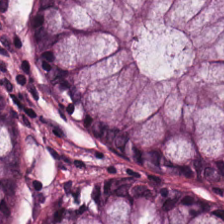Hematoxylin and eosin.
Non-neoplastic colon mucosa.
